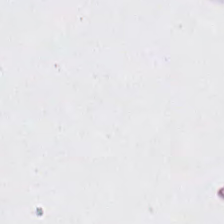Q: What is shown in this field?
A: This is background.
